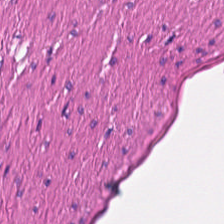Stain: hematoxylin and eosin.
Preparation: formalin-fixed paraffin-embedded section.
Tissue class: smooth-muscle tissue.
